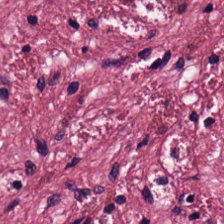Formalin-fixed paraffin-embedded section. Hematoxylin and eosin — This field is desmoplastic stroma.
